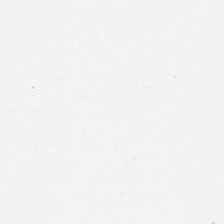WSI patch; 0.5 µm/px; H&E. Content — background (no tissue).
